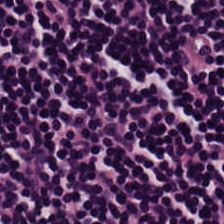Hematoxylin and eosin.
Tissue — lymphoid infiltrate.
